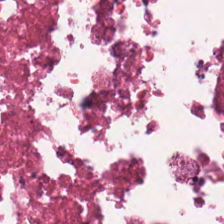H&E-stained tissue section.
Tissue type — debris.
